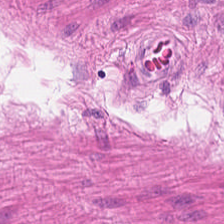Tissue type — smooth-muscle tissue.
